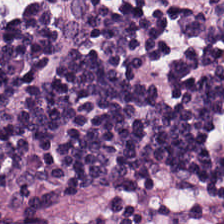Whole-slide-image patch. Hematoxylin-and-eosin stained section.
The classification is lymphocyte aggregate.
